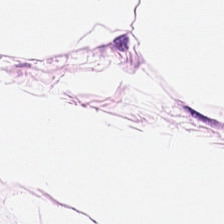Formalin-fixed paraffin-embedded section · H&E-stained tissue section.
Q: What is shown in this field?
A: This is adipose.
